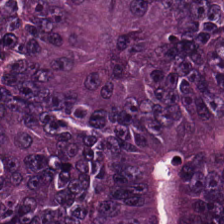Hematoxylin and eosin — Tissue class — colorectal adenocarcinoma epithelium.
